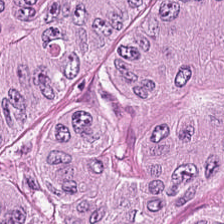20× equivalent magnification · H&E · brightfield. Tissue class = colorectal adenocarcinoma epithelium.
